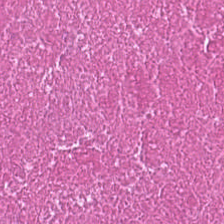H&E-stained tissue section; 0.5 µm per pixel; whole-slide-image patch — Classification: debris.
